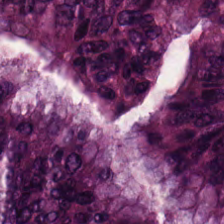H&E stain.
This field is malignant epithelium.
